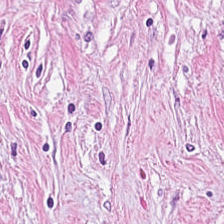Brightfield microscopy; FFPE; H&E-stained tissue section.
Classification = tumor-associated stroma.
